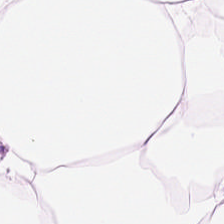H&E stain. WSI patch — Impression — fat tissue.
